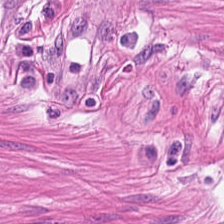Stain: hematoxylin-and-eosin stained section.
Tissue class: smooth-muscle tissue.
